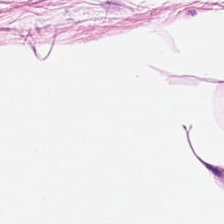Hematoxylin and eosin — Q: What type of tissue is this?
A: Fat tissue.
